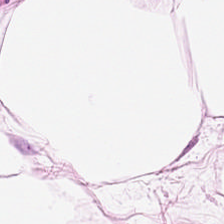Brightfield · hematoxylin-and-eosin stained section.
Q: Classify this patch.
A: It is adipose tissue.
